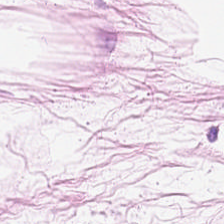H&E-stained tissue section — The tissue class is adipose tissue.
